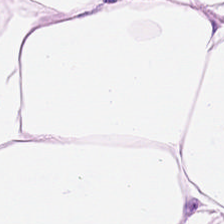H&E-stained tissue section — Q: What tissue is shown?
A: It is fat tissue.
